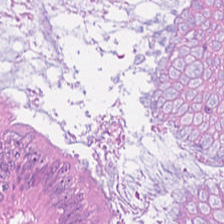Hematoxylin-and-eosin stained section.
Malignant epithelium.
